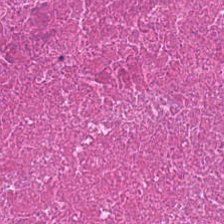224×224 px tile · brightfield microscopy · H&E stain — {"tissue_type": "cellular debris"}
